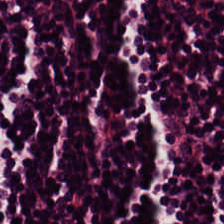The predominant tissue is lymphocytic infiltrate.
